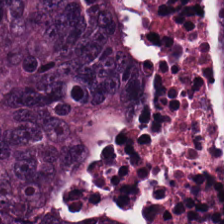20× equivalent magnification; H&E-stained tissue section — Predominantly malignant epithelium.
